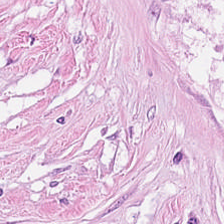Hematoxylin and eosin. The tissue here is tumor-associated stroma.
